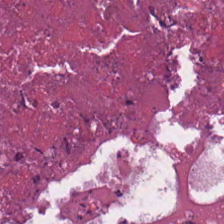H&E stain.
Q: Identify the tissue.
A: Necrotic debris.
